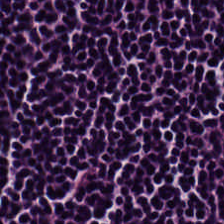Finding — lymphocytes.
